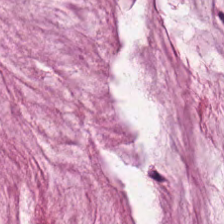Hematoxylin and eosin.
Tissue type = mucus.
